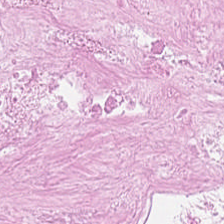H&E.
Q: What type of tissue is this?
A: This is debris.
